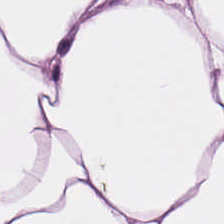Hematoxylin-and-eosin stained section. Impression — adipocytes.
